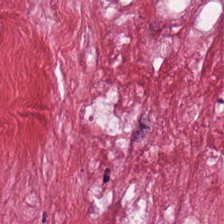Q: What tissue is shown?
A: It is tumor stroma.
